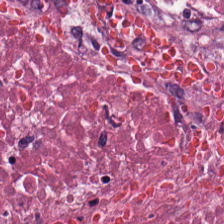H&E stain · 0.5 µm/px — This patch shows debris.
